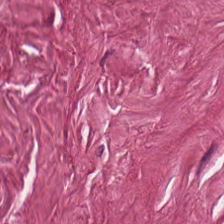0.5 µm per pixel. H&E stain.
This patch shows tumor-associated stroma.
